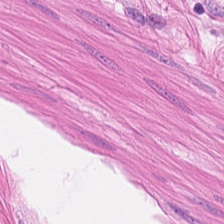Stain: hematoxylin-and-eosin stained section.
Predominant tissue: muscularis.
